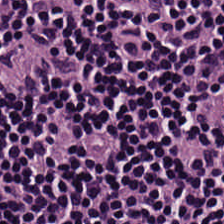This field is lymphocyte aggregate.
